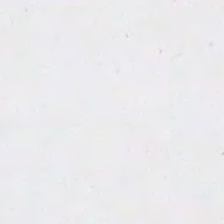Formalin-fixed paraffin-embedded section. Hematoxylin and eosin. 0.5 µm/px. Content: empty background.
